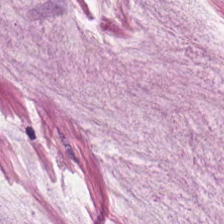Brightfield; hematoxylin-and-eosin stained section — {"tissue_type": "extracellular mucin"}
